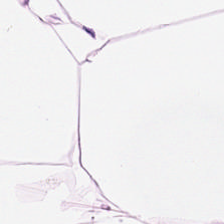Hematoxylin and eosin.
This patch shows adipose tissue.
